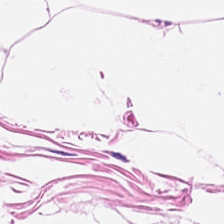H&E-stained tissue section showing adipose.
